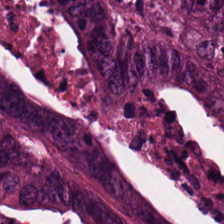Whole-slide-image patch. 0.5 microns per pixel. H&E. Q: What is shown here?
A: It is malignant epithelium.
